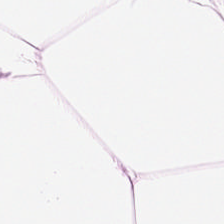This field is adipose.
